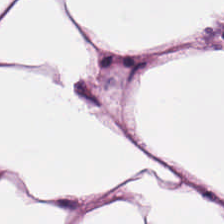Hematoxylin-and-eosin stained section · FFPE tissue section. This field is adipose.
